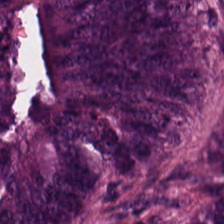H&E-stained tissue section · brightfield microscopy · 0.5 µm/px.
Q: What tissue is shown?
A: This is tumor epithelium.
